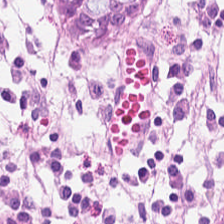H&E. Finding → normal colonic mucosa.
